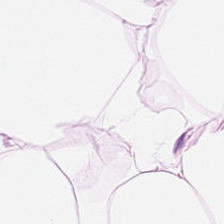Q: Classify this patch.
A: The field shows fat tissue.
